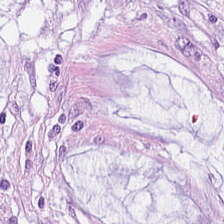H&E.
Tissue class — mucin.
